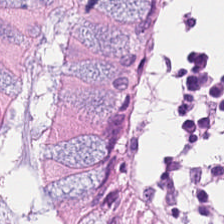0.5 µm per pixel · H&E-stained tissue section — Q: What type of tissue is this?
A: This is normal colonic mucosa.
